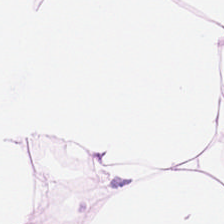Stain: H&E.
Acquisition: brightfield.
Tile size: 224×224 px tile.
Tissue class: adipocytes.
